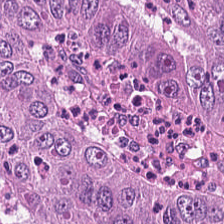The tissue class is colorectal adenocarcinoma.
